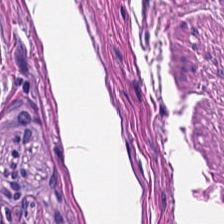WSI patch · H&E stain — Predominantly muscularis.
